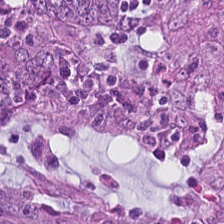Hematoxylin and eosin — Showing colorectal adenocarcinoma.
